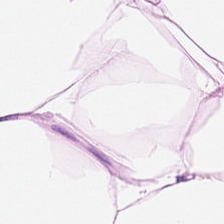H&E-stained tissue section.
Tissue — adipose.
